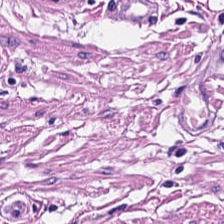0.5 microns per pixel; formalin-fixed paraffin-embedded section; hematoxylin and eosin. The tissue here is smooth muscle.
